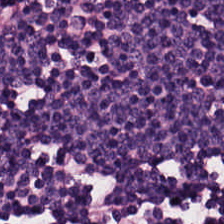WSI patch. 20× equivalent magnification. H&E — Predominant tissue — lymphocytic infiltrate.
